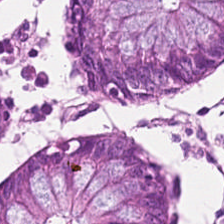Impression → normal colon mucosa.
